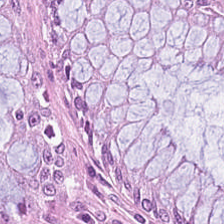H&E-stained tissue section. 0.5 µm per pixel.
The predominant tissue is normal colonic mucosa.
